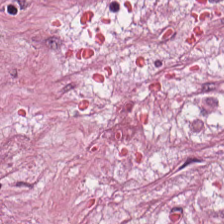Whole-slide-image patch · H&E stain — The predominant tissue is tumor-associated stroma.
